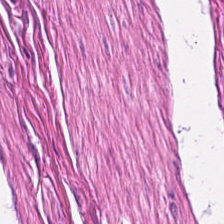Whole-slide-image patch. H&E. 224×224 px patch.
Q: What is shown here?
A: It is muscularis.
